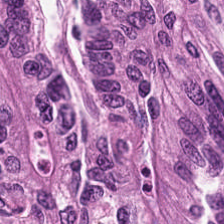H&E stain.
The classification is colorectal adenocarcinoma.
